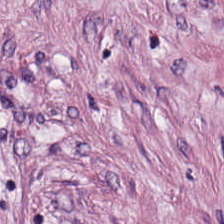0.5 µm per pixel · H&E stain · whole-slide-image patch. Showing tumor-associated stroma.
